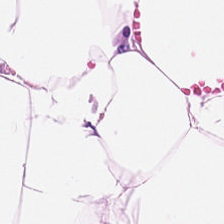The tissue is fat tissue.
